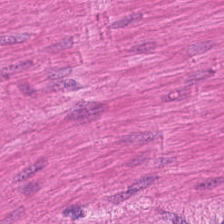Stain: hematoxylin-and-eosin stained section.
Tissue class: smooth-muscle tissue.
